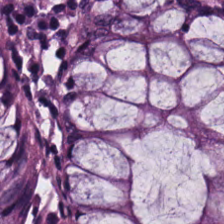Hematoxylin and eosin · 0.5 microns per pixel. The predominant tissue is normal colon mucosa.
